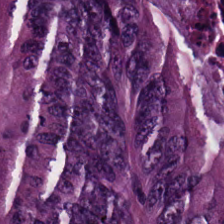Impression → malignant epithelium.
